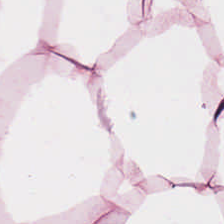Hematoxylin and eosin — Q: What does this patch show?
A: It is adipocytes.
